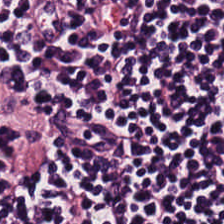H&E-stained tissue section. Q: What type of tissue is this?
A: Lymphocyte aggregate.
